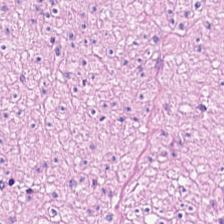H&E stain.
The tissue here is muscularis.
